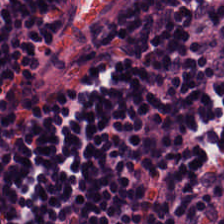H&E-stained tissue section.
The tissue here is lymphoid infiltrate.
